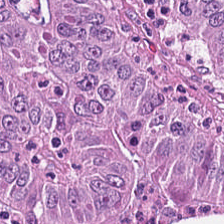H&E patch showing colorectal adenocarcinoma.
